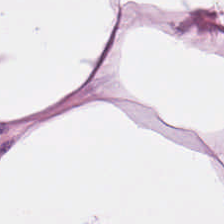Hematoxylin and eosin. Adipose tissue.
